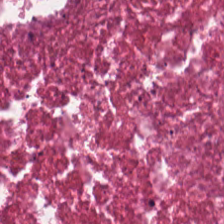H&E — cellular debris.
